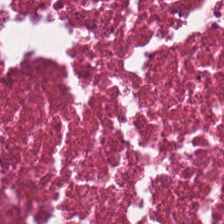Impression → necrotic debris.
